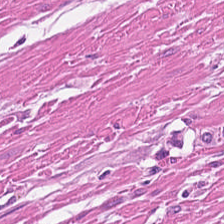Hematoxylin and eosin. Histology → smooth muscle.
